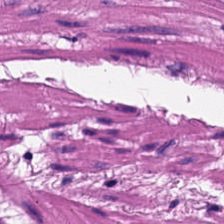H&E stain · brightfield — Tissue class — smooth muscle.
